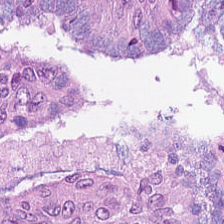Hematoxylin and eosin. Whole-slide-image patch. 0.5 microns per pixel. Tissue = adenocarcinoma.
